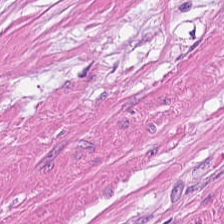H&E stain — Showing muscularis.
